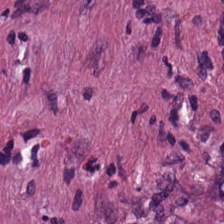H&E-stained tissue section — Tissue class = tumor-associated stroma.
